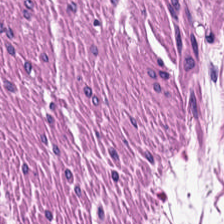H&E — Q: Classify this patch.
A: This is muscularis.
